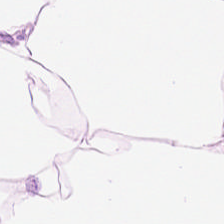Stain: hematoxylin-and-eosin stained section.
Resolution: 0.5 µm/px.
Classification: adipocytes.
